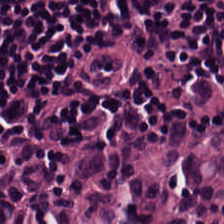WSI patch; H&E stain; 224×224 pixel tile — Tissue type: lymphocytic infiltrate.
